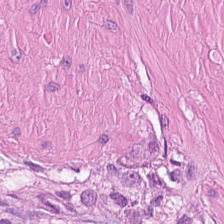H&E-stained tissue section. Smooth-muscle tissue.
